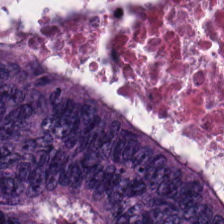Stain: hematoxylin and eosin.
Classification: tumor epithelium.
